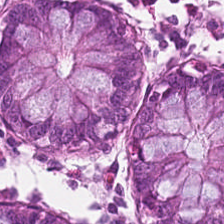Hematoxylin-and-eosin stained section · 0.5 µm/px · FFPE tissue section. Impression — non-neoplastic colon mucosa.
